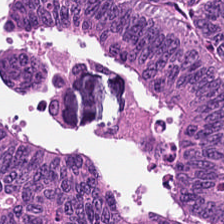Hematoxylin and eosin; 224×224 pixel tile. This patch shows colorectal adenocarcinoma.
